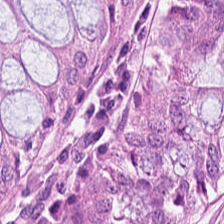Impression → normal colon mucosa.
